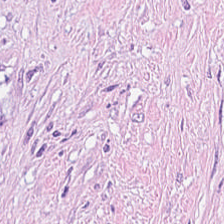The classification is tumor stroma.
